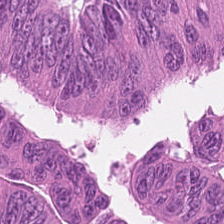Hematoxylin-and-eosin stained section — The tissue type is malignant epithelium.
